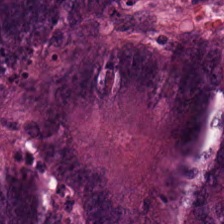Predominant tissue = adenocarcinoma.
